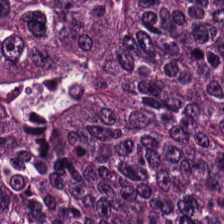Hematoxylin and eosin. Showing malignant epithelium.
